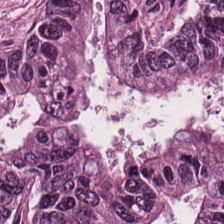Q: What is shown in this field?
A: Colorectal adenocarcinoma.
